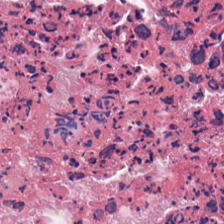H&E-stained tissue section; WSI patch.
Classification — cellular debris.
